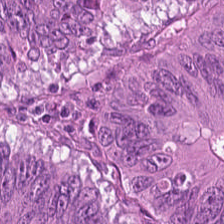H&E-stained tissue section. 0.5 µm/px. 224×224 px tile — Histology → adenocarcinoma.
